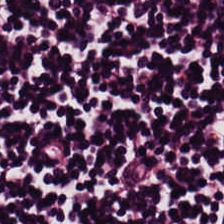0.5 microns per pixel; H&E. Predominantly lymphocytic infiltrate.
